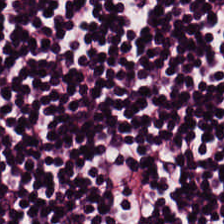Stain: H&E stain.
Tissue type: lymphocyte aggregate.
